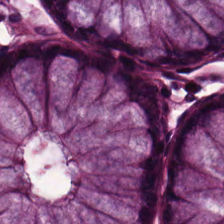Q: What tissue is shown?
A: It is normal colonic mucosa.
